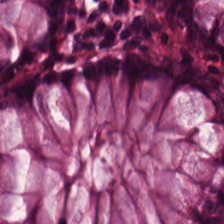Hematoxylin-and-eosin stained section.
The tissue here is benign colonic mucosa.
